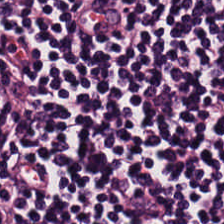H&E-stained tissue section · whole-slide-image patch. Q: What is the predominant tissue type?
A: This is lymphocytes.
